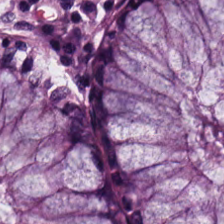Hematoxylin and eosin; 224×224 pixel tile.
Predominant tissue = non-neoplastic colon mucosa.
